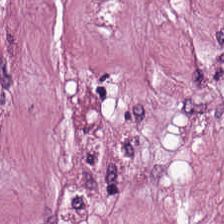H&E. Impression → tumor-associated stroma.
